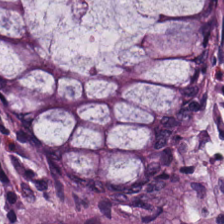Q: What tissue type is shown here?
A: The field shows normal colonic mucosa.
